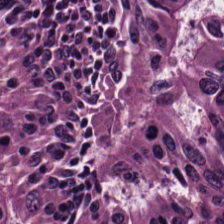Hematoxylin-and-eosin stained section — {"tissue_type": "colorectal adenocarcinoma epithelium"}
